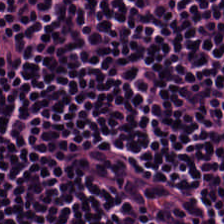Stain: H&E stain.
Tissue type: lymphocytic infiltrate.
